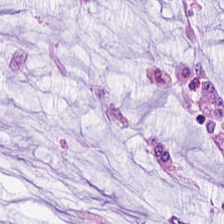FFPE. H&E. The tissue here is extracellular mucin.
